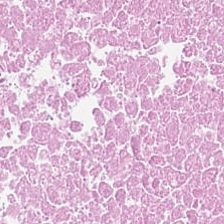H&E stain — The tissue here is necrotic debris.
